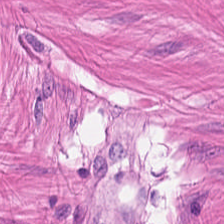H&E stain. 224×224 px patch — The tissue is smooth-muscle tissue.
